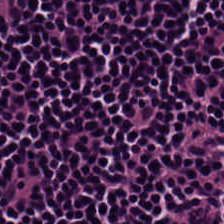H&E — lymphocytic infiltrate.
